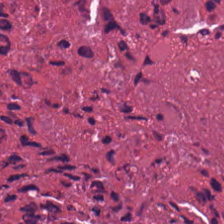Stain: hematoxylin and eosin.
Acquisition: brightfield microscopy.
Classification: cellular debris.
